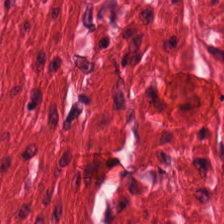Stain: H&E stain.
Tissue type: smooth-muscle tissue.
